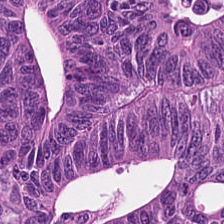Hematoxylin-and-eosin stained section — {"tissue_type": "colorectal adenocarcinoma epithelium"}
